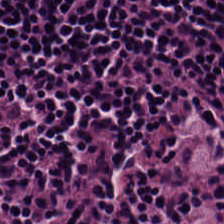Finding — lymphocyte aggregate.
